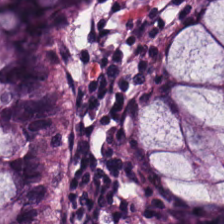FFPE · H&E-stained tissue section · 224×224 pixel tile. The tissue here is benign colonic mucosa.
